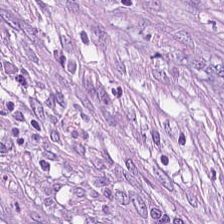H&E. This field is cancer-associated stroma.
